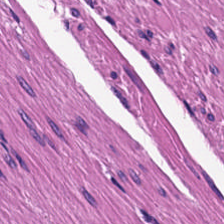H&E.
This patch shows muscularis.
